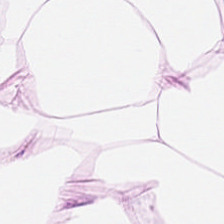Stain: H&E stain.
Predominant tissue: adipose tissue.
